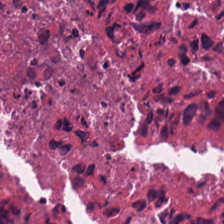0.5 microns per pixel · H&E — {"tissue_type": "necrotic debris"}
